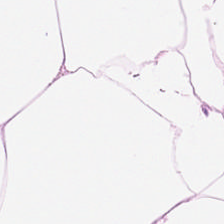Hematoxylin and eosin · 20× equivalent magnification. Classification = adipocytes.
